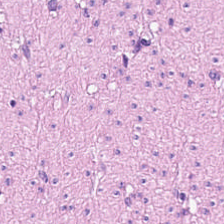Formalin-fixed paraffin-embedded section; hematoxylin-and-eosin stained section. Impression → smooth-muscle tissue.
